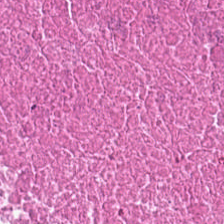This field is debris.
